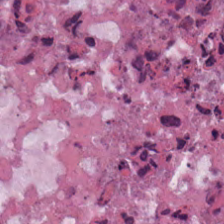{"tissue_type": "cellular debris"}
